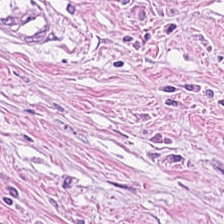H&E-stained tissue section; 0.5 microns per pixel. Histology → desmoplastic stroma.
